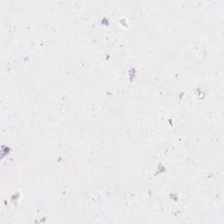H&E stain. Field content: background.
